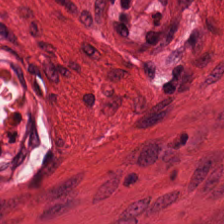H&E. Predominant tissue — muscularis.
